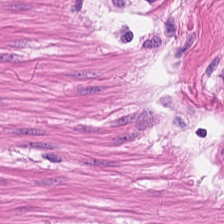H&E. 20× equivalent magnification. Tissue class: muscularis.
